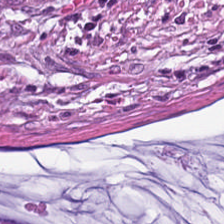H&E-stained tissue section. The predominant tissue is extracellular mucin.
